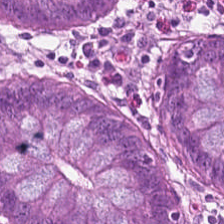H&E. Impression → normal colonic mucosa.
